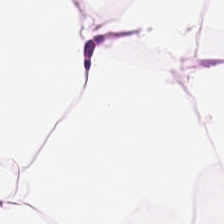Hematoxylin-and-eosin stained section.
Tissue type = fat tissue.
